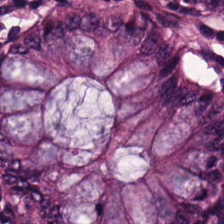Stain: hematoxylin-and-eosin stained section.
Tile size: 224×224 px tile.
Acquisition: WSI patch.
Classification: normal colon mucosa.
